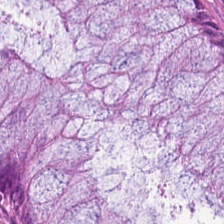Tissue class: non-neoplastic colon mucosa.
